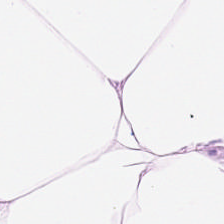H&E stain.
Tissue class — adipocytes.
